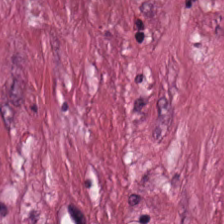Histology — desmoplastic stroma.
